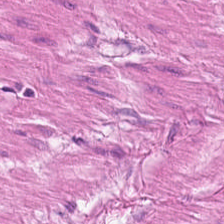H&E-stained tissue section. Tissue class = smooth muscle.
